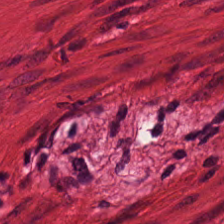Predominantly smooth-muscle tissue.
